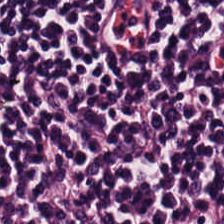Whole-slide-image patch; H&E stain — Q: What is shown here?
A: This is lymphoid infiltrate.
